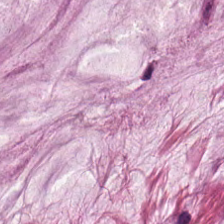Stain: H&E stain.
Resolution: 0.5 microns per pixel.
Tile size: 224×224 px patch.
Tissue class: mucin.
